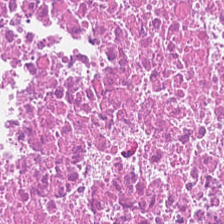H&E stain — Tissue class = necrotic debris.
